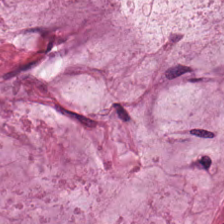H&E-stained tissue section.
Mucin.
